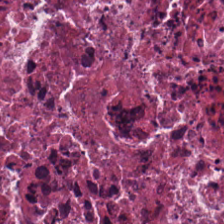H&E-stained tissue section — Histology — debris.
